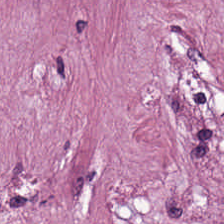Hematoxylin and eosin · 224×224 pixel tile. {"tissue_type": "tumor-associated stroma"}
